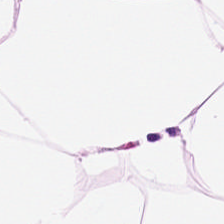H&E-stained tissue section — This field is adipose tissue.
